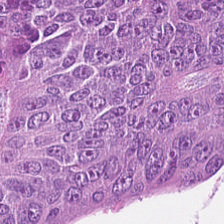H&E-stained tissue section · 224×224 px tile · FFPE. The tissue here is colorectal adenocarcinoma.
